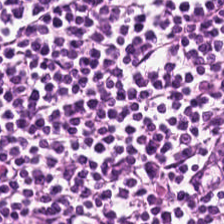Hematoxylin-and-eosin stained section. The classification is lymphocyte aggregate.
